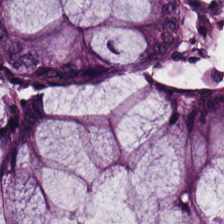Stain: H&E-stained tissue section.
Tissue type: normal colonic mucosa.
